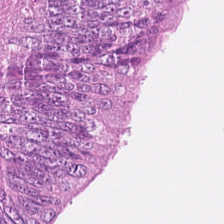Hematoxylin-and-eosin stained section; 224×224 pixel tile — Q: What does this patch show?
A: This is colorectal adenocarcinoma.
